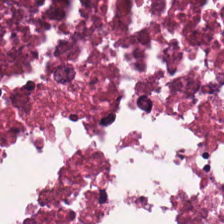Hematoxylin-and-eosin stained section — This field is necrotic debris.
